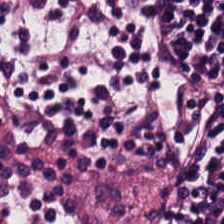Hematoxylin and eosin — The tissue class is lymphoid infiltrate.
